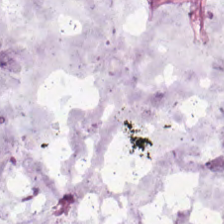The tissue type is mucus.
